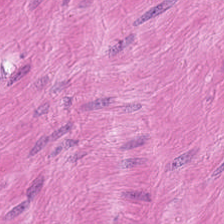Stain: H&E stain.
Predominant tissue: muscularis.
